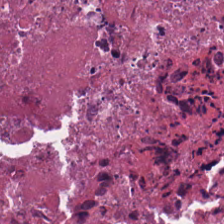Stain: H&E stain.
Tile size: 224×224 px tile.
Acquisition: WSI patch.
Tissue: cellular debris.
